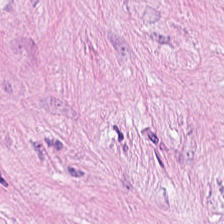20× equivalent magnification · H&E-stained tissue section — Q: What tissue is shown?
A: This is cancer-associated stroma.
